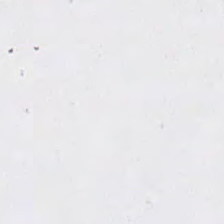H&E-stained tissue section; brightfield; 224×224 px tile.
Empty field — empty background.
